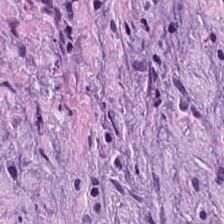Stain: H&E.
Tissue type: desmoplastic stroma.
